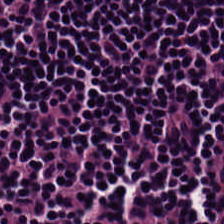H&E — The predominant tissue is lymphocytic infiltrate.
